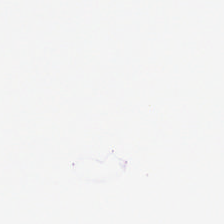Background — no tissue in this field.
